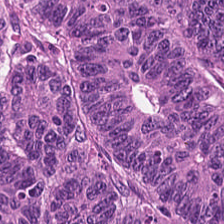H&E; formalin-fixed paraffin-embedded section; 0.5 µm/px.
Predominantly malignant epithelium.
